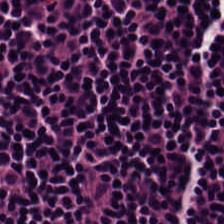224×224 pixel tile; brightfield microscopy; H&E-stained tissue section.
Predominant tissue: lymphoid infiltrate.
